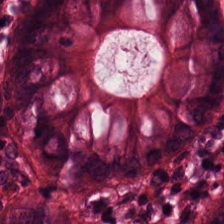Hematoxylin-and-eosin stained section · 224×224 pixel tile — Tissue class — normal colon mucosa.
